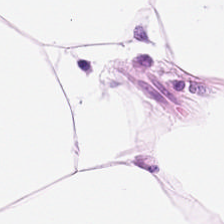H&E stain · 224×224 px tile. Adipose tissue.
